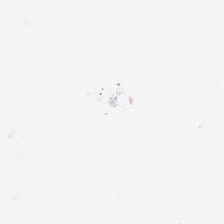H&E-stained tissue section; 0.5 microns per pixel; formalin-fixed paraffin-embedded section. No tissue.
